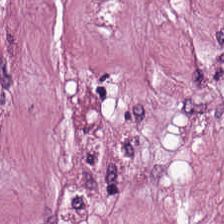0.5 µm per pixel · H&E stain — Predominant tissue: tumor stroma.
